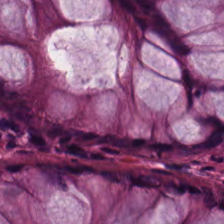Predominantly normal colon mucosa.
